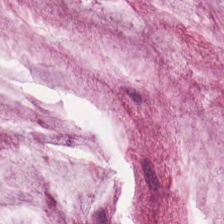This patch shows mucin.
